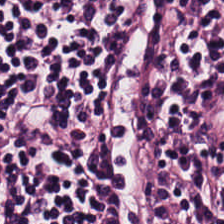Brightfield. 224×224 pixel tile. H&E. Q: Identify the tissue.
A: It is lymphocyte aggregate.
